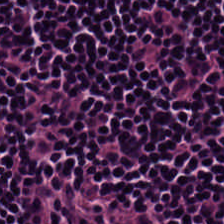H&E stain · whole-slide-image patch — Q: What type of tissue is this?
A: This is lymphoid infiltrate.
